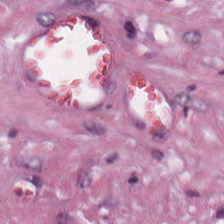Stain: H&E stain.
Tile size: 224×224 pixel tile.
Tissue class: tumor stroma.
